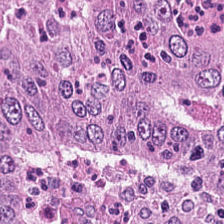Predominantly colorectal adenocarcinoma.
